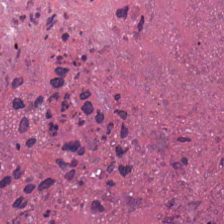Hematoxylin-and-eosin stained section — Classification: necrotic debris.
